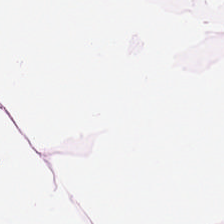0.5 µm/px. H&E. 224×224 px tile.
Predominantly adipose.
